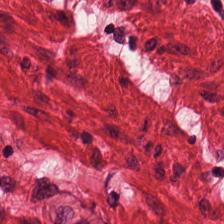Hematoxylin and eosin.
This field is muscularis.
